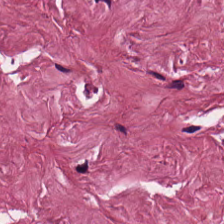Predominant tissue = cancer-associated stroma.
